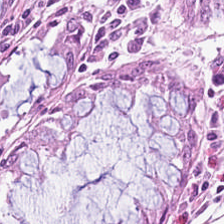Predominant tissue: benign colonic mucosa.
